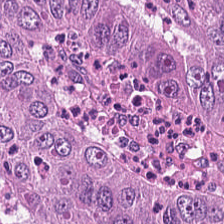H&E.
Classification — colorectal adenocarcinoma.
